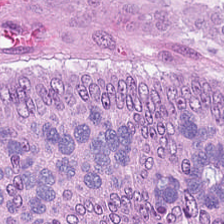H&E stain. Brightfield microscopy. Q: What tissue is shown?
A: Tumor epithelium.
